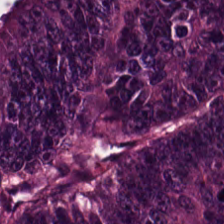H&E-stained tissue section — Tissue type = colorectal adenocarcinoma.
